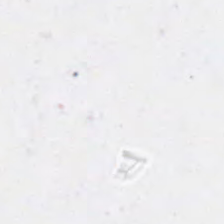H&E-stained tissue section.
Empty field — background.
